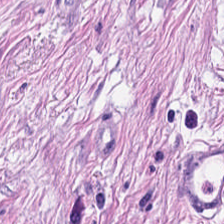224×224 px tile · H&E · 0.5 µm/px — Smooth-muscle tissue.
